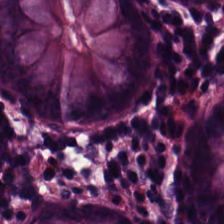The predominant tissue is normal colon mucosa.
